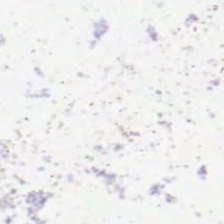0.5 µm/px; hematoxylin and eosin; brightfield.
Background — no tissue in this field.
